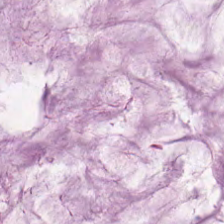H&E-stained tissue section. The predominant tissue is extracellular mucin.
